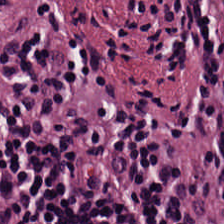Q: What is the predominant tissue type?
A: This is lymphoid infiltrate.
